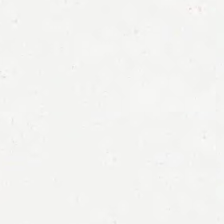H&E — Background.
